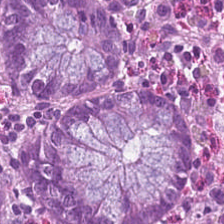Whole-slide-image patch. 0.5 µm per pixel. Hematoxylin-and-eosin stained section — Q: What tissue is shown?
A: The field shows benign colonic mucosa.
